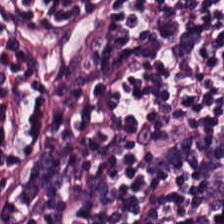H&E-stained tissue section showing lymphocytes.
